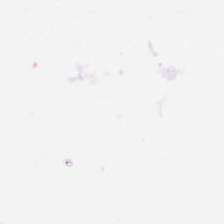Hematoxylin-and-eosin stained section · 224×224 px tile.
Q: What is shown here?
A: The field shows no tissue.
